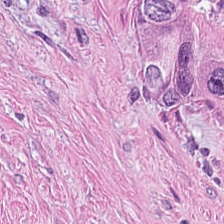H&E.
Q: What does this patch show?
A: It is cancer-associated stroma.
